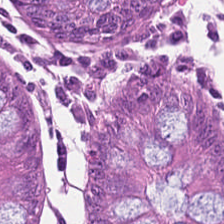224×224 pixel tile · hematoxylin-and-eosin stained section. {"tissue_type": "normal colon mucosa"}
